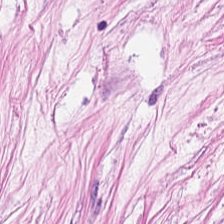H&E-stained tissue section.
Histology → desmoplastic stroma.
